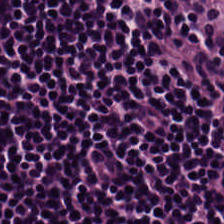Hematoxylin-and-eosin stained section · formalin-fixed paraffin-embedded section.
Tissue type: lymphocyte aggregate.
